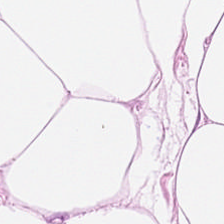H&E stain. {"tissue_type": "adipose tissue"}
